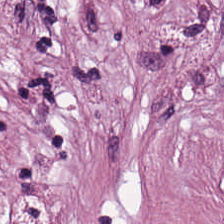Hematoxylin-and-eosin stained section — This patch shows tumor-associated stroma.
